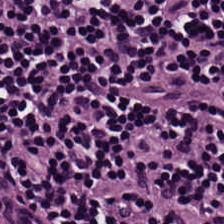H&E.
Impression → lymphocyte aggregate.
